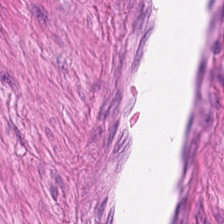Hematoxylin and eosin — The tissue is smooth muscle.
